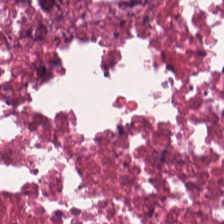H&E-stained tissue section; brightfield microscopy.
Histology — debris.
